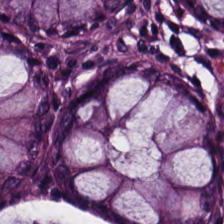H&E-stained tissue section. Tissue: normal colon mucosa.
